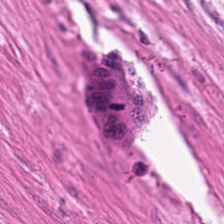Impression — muscularis.
